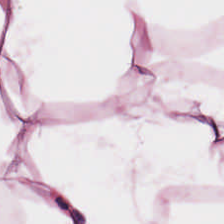Hematoxylin-and-eosin stained section.
Predominant tissue — adipose tissue.
